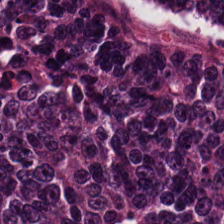Hematoxylin-and-eosin stained section.
Predominant tissue — malignant epithelium.
